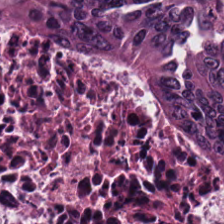Stain: H&E.
Tissue class: adenocarcinoma.
